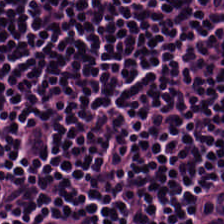Hematoxylin-and-eosin stained section — Q: What is shown in this field?
A: Lymphocyte aggregate.
